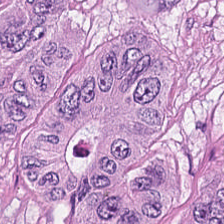H&E-stained tissue section · whole-slide-image patch — Predominantly tumor epithelium.
